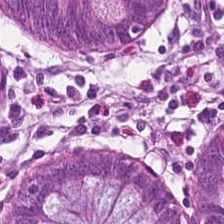224×224 pixel tile · brightfield · H&E. Classification: benign colonic mucosa.
